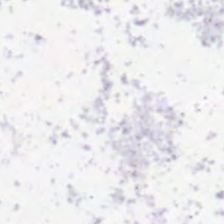224×224 px tile. H&E stain. Q: What does this patch show?
A: It is empty background.
